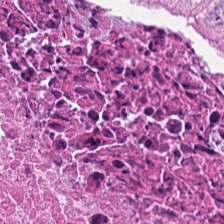Hematoxylin-and-eosin stained section. Histology — debris.
